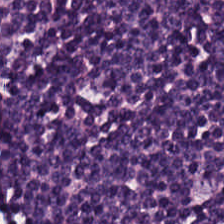Stain: H&E-stained tissue section.
Tissue class: lymphocyte aggregate.
